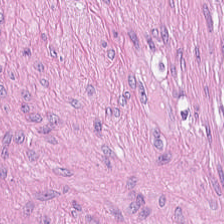H&E. Whole-slide-image patch. 224×224 px patch — Classification: tumor-associated stroma.
